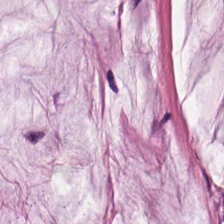Hematoxylin-and-eosin stained section · WSI patch. Q: Classify this patch.
A: This is extracellular mucin.
